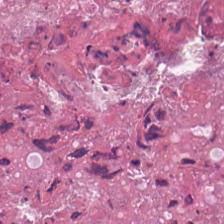H&E-stained tissue section. The predominant tissue is cellular debris.
